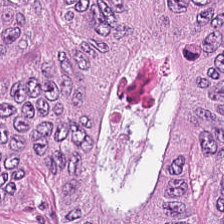224×224 px tile; hematoxylin and eosin. Q: What tissue type is shown here?
A: It is malignant epithelium.
